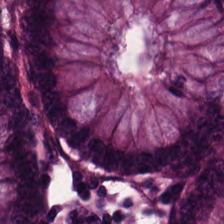Predominant tissue = benign colonic mucosa.
